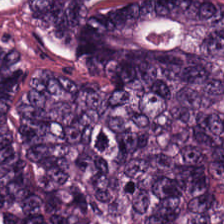224×224 px patch; H&E stain. Tissue = adenocarcinoma.
